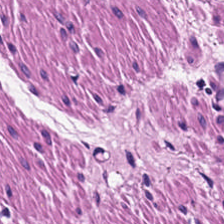20× equivalent magnification; hematoxylin and eosin.
Showing smooth muscle.
